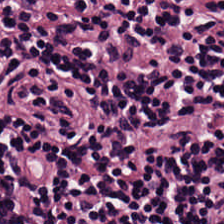H&E-stained tissue section showing lymphoid infiltrate.
